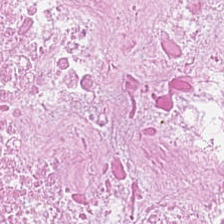H&E stain. {"tissue_type": "necrotic debris"}
